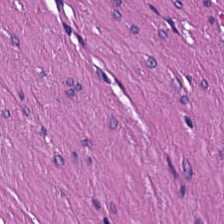Hematoxylin-and-eosin stained section. FFPE tissue section — The tissue here is smooth muscle.
